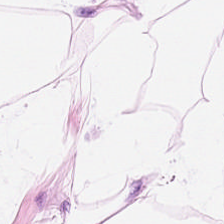Hematoxylin-and-eosin stained section.
This patch shows adipose tissue.
